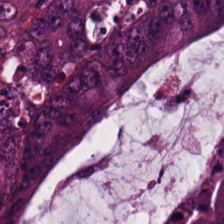Stain: hematoxylin-and-eosin stained section.
Tissue: colorectal adenocarcinoma epithelium.
